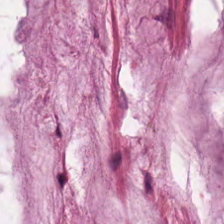Q: Identify the tissue.
A: This is mucin.
